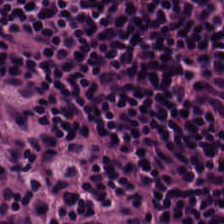Stain: hematoxylin and eosin.
Tissue type: lymphoid infiltrate.
